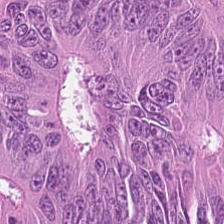Showing adenocarcinoma.
